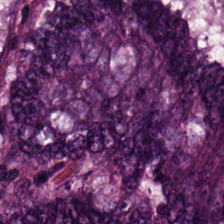Hematoxylin and eosin — Predominantly adenocarcinoma.
